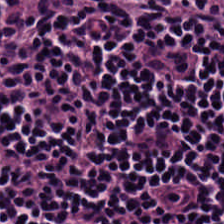H&E.
Q: What is shown here?
A: The field shows lymphoid infiltrate.
